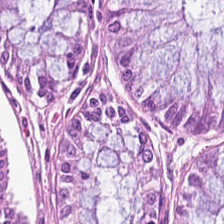This field is non-neoplastic colon mucosa.
